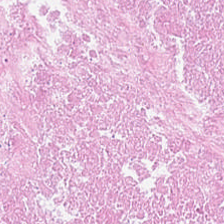Showing cellular debris.
